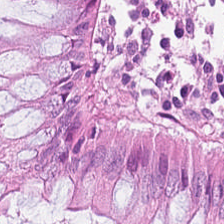Q: What does this patch show?
A: The field shows non-neoplastic colon mucosa.
